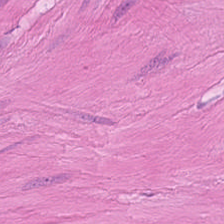0.5 µm/px; hematoxylin and eosin. Smooth-muscle tissue.
